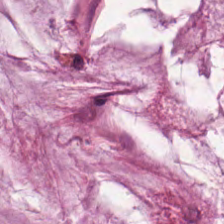Hematoxylin and eosin.
Tissue — mucus.
